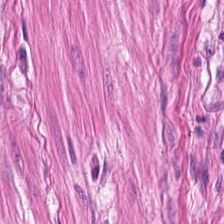Stain: hematoxylin-and-eosin stained section.
Preparation: FFPE.
Tissue class: smooth muscle.
